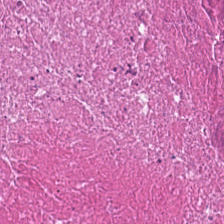Brightfield. H&E stain.
This patch shows necrotic debris.
